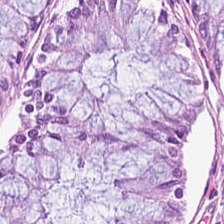H&E; 0.5 µm per pixel.
The tissue here is non-neoplastic colon mucosa.
